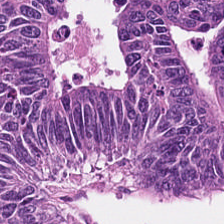Brightfield; hematoxylin-and-eosin stained section. Colorectal adenocarcinoma epithelium.
